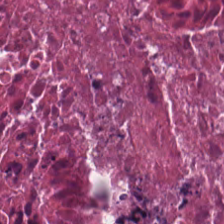H&E stain.
Impression — cellular debris.
